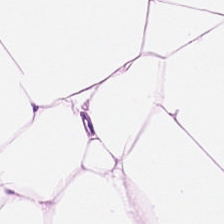20× equivalent magnification; hematoxylin and eosin — Impression → adipose.
